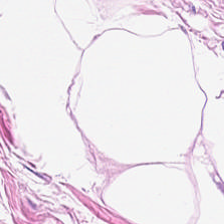This field is adipose tissue.
